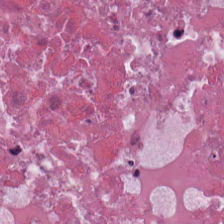Stain: H&E stain.
Tile size: 224×224 px tile.
Preparation: FFPE tissue section.
Tissue type: cellular debris.
